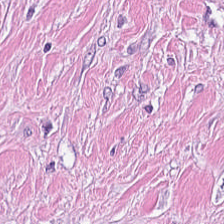H&E stain.
The predominant tissue is cancer-associated stroma.
